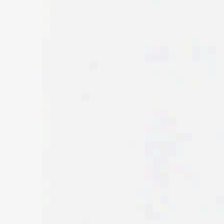H&E stain — {"content": "no tissue"}
